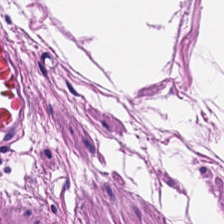Stain: H&E-stained tissue section.
Tissue type: smooth muscle.
